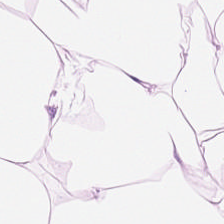Stain: H&E.
Preparation: FFPE tissue section.
Tissue class: fat tissue.
